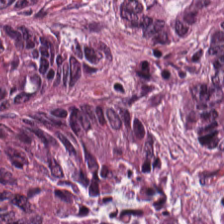H&E-stained tissue section; 0.5 microns per pixel — This patch shows tumor epithelium.
